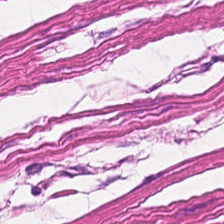Hematoxylin and eosin — Predominantly smooth muscle.
